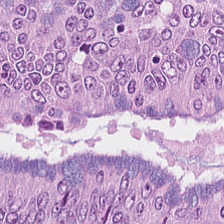WSI patch; hematoxylin and eosin. The tissue type is tumor epithelium.
